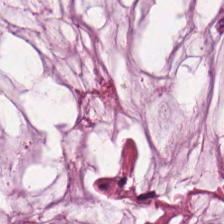H&E stain. Q: What type of tissue is this?
A: This is mucin.
